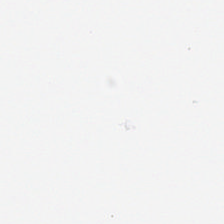This patch shows background.
